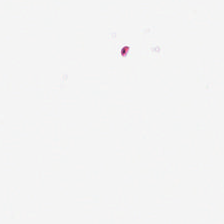Hematoxylin and eosin. 0.5 microns per pixel.
Q: What is shown here?
A: Empty background.
